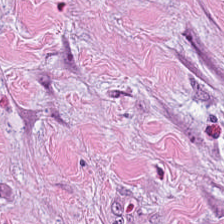Predominantly tumor-associated stroma.
